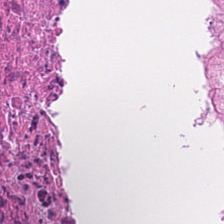This patch shows necrotic debris.
